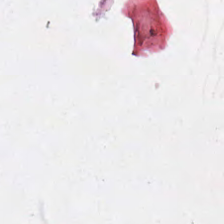224×224 pixel tile · H&E-stained tissue section · FFPE. This field is background (no tissue).
